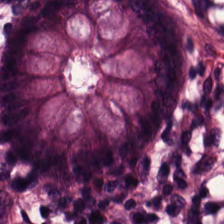H&E · FFPE.
Classification — normal colonic mucosa.
